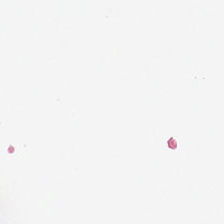Hematoxylin-and-eosin stained section.
Background — no tissue in this field.
